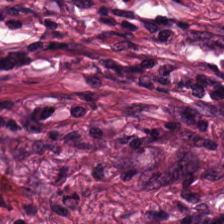0.5 microns per pixel · hematoxylin and eosin. Tissue type: tumor stroma.
